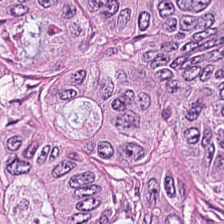Hematoxylin-and-eosin stained section · 20× equivalent magnification.
This patch shows malignant epithelium.
